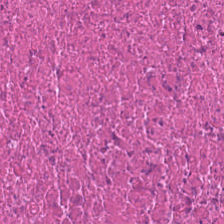Stain: hematoxylin and eosin.
Tile size: 224×224 px patch.
Tissue: cellular debris.
